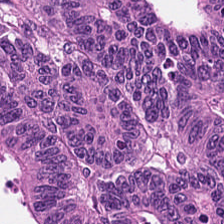FFPE · hematoxylin and eosin. Q: What tissue is shown?
A: Tumor epithelium.
